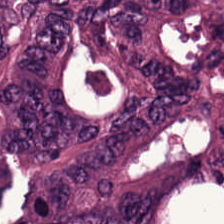Stain: hematoxylin and eosin.
Tissue type: colorectal adenocarcinoma.
